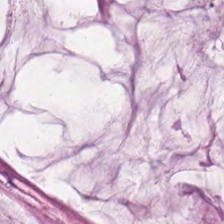H&E · 224×224 pixel tile — The predominant tissue is extracellular mucin.
